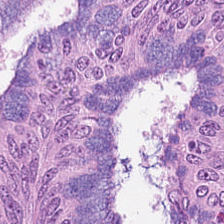Q: What is shown here?
A: It is colorectal adenocarcinoma epithelium.
